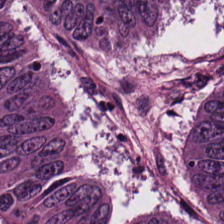Hematoxylin and eosin. Tissue: malignant epithelium.
